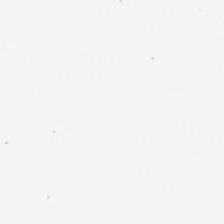H&E-stained tissue section. 224×224 px patch. FFPE.
This patch shows background (no tissue).
